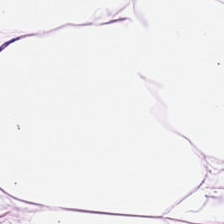H&E; 224×224 pixel tile; WSI patch. Finding — fat tissue.
